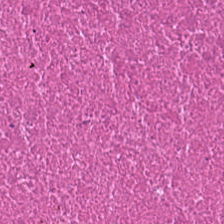Hematoxylin-and-eosin stained section — The tissue type is cellular debris.
